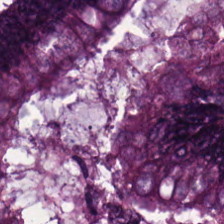Tissue class = colorectal adenocarcinoma epithelium.
